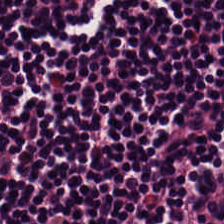Stain: hematoxylin-and-eosin stained section.
Preparation: FFPE tissue section.
Classification: lymphocyte aggregate.
